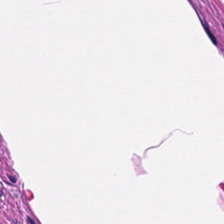{"tissue_type": "muscularis"}
